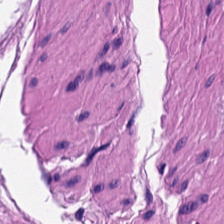Hematoxylin and eosin. This field is smooth-muscle tissue.
